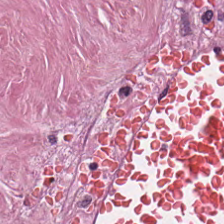0.5 µm/px · hematoxylin-and-eosin stained section. Q: What type of tissue is this?
A: This is tumor stroma.
